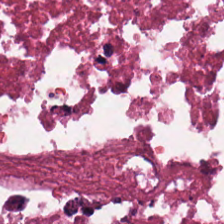H&E-stained tissue section. Predominantly necrotic debris.
